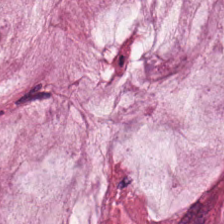224×224 px patch; hematoxylin and eosin. {"tissue_type": "mucin"}
